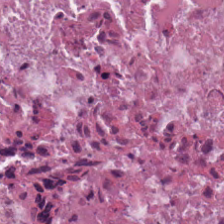H&E. 224×224 px tile. 0.5 µm per pixel. The predominant tissue is debris.
